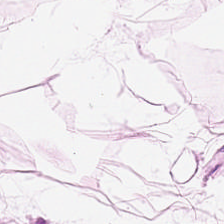Stain: hematoxylin and eosin.
Tissue: adipose.
